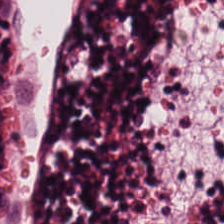Stain: hematoxylin and eosin.
Tissue: lymphocyte aggregate.
